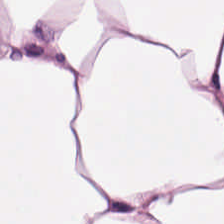Finding → adipose.
